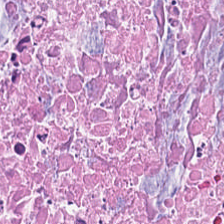Hematoxylin-and-eosin stained section — Impression → cellular debris.
